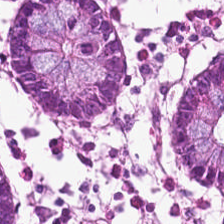H&E-stained tissue section. Impression → normal colon mucosa.
